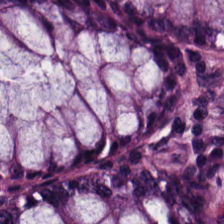The tissue is non-neoplastic colon mucosa.
